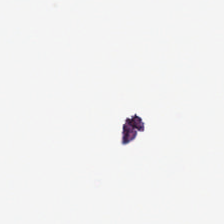FFPE tissue section · H&E stain — Q: Classify this patch.
A: This is background.
